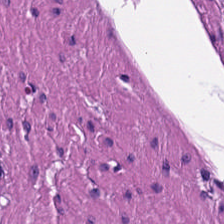Tissue class — smooth muscle.
